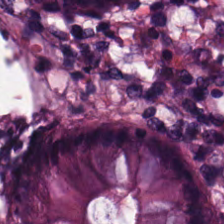Hematoxylin-and-eosin stained section. Finding — benign colonic mucosa.
